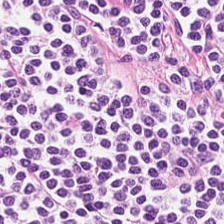H&E — lymphocytes.
